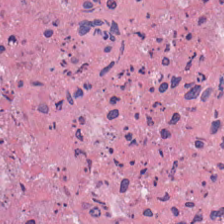Hematoxylin and eosin — The tissue here is debris.
